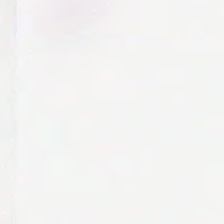Background — no tissue in this field.
